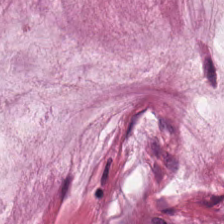Hematoxylin and eosin; brightfield microscopy.
Tissue class: mucus.
